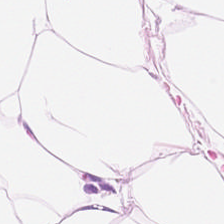Hematoxylin and eosin — This field is adipose tissue.
